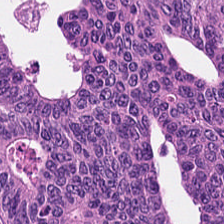0.5 µm/px. FFPE. H&E-stained tissue section — The predominant tissue is colorectal adenocarcinoma epithelium.
